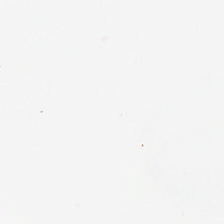0.5 µm/px; formalin-fixed paraffin-embedded section; hematoxylin-and-eosin stained section — This patch shows background (no tissue).
